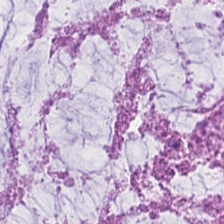224×224 px patch. H&E-stained tissue section.
Tissue type — extracellular mucin.
